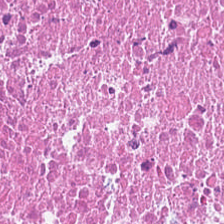Hematoxylin-and-eosin stained section.
Debris.
